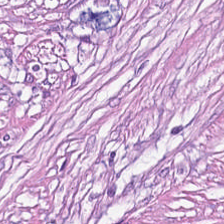Hematoxylin-and-eosin stained section. Histology — tumor stroma.
